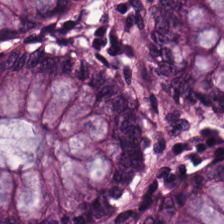Brightfield. H&E-stained tissue section. 224×224 px patch. Tissue — non-neoplastic colon mucosa.
